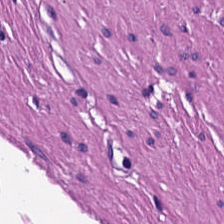The predominant tissue is smooth muscle.
